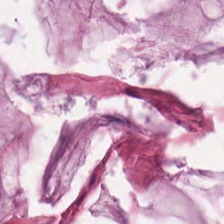224×224 px tile; H&E stain.
Q: What does this patch show?
A: The field shows extracellular mucin.
